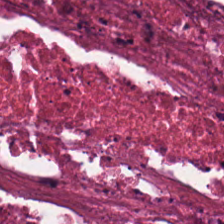H&E-stained tissue section · brightfield microscopy — Tissue class: necrotic debris.
